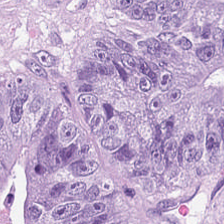Stain: hematoxylin-and-eosin stained section.
Resolution: 0.5 µm/px.
Tissue: tumor epithelium.
